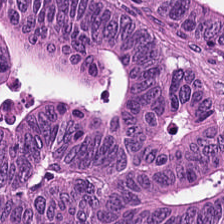Whole-slide-image patch · hematoxylin and eosin — Q: What tissue is shown?
A: This is malignant epithelium.
